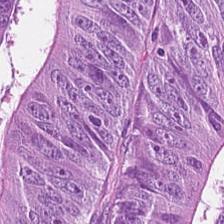Stain: H&E-stained tissue section.
Tissue type: malignant epithelium.
